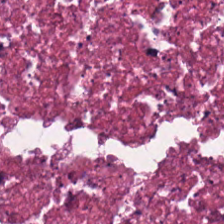H&E-stained tissue section; whole-slide-image patch.
Q: What is the predominant tissue type?
A: It is cellular debris.
